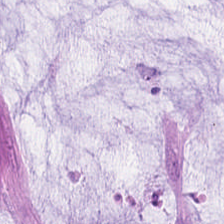Predominantly mucus.
